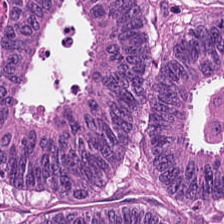Hematoxylin and eosin.
Tissue class — malignant epithelium.
